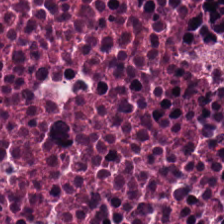224×224 px patch. H&E-stained tissue section. WSI patch — The tissue here is debris.
